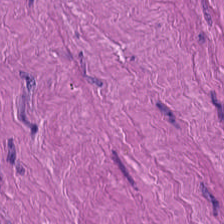H&E-stained tissue section. Muscularis.
